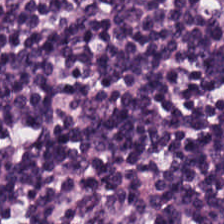H&E · 0.5 µm/px.
Histology — lymphocyte aggregate.
